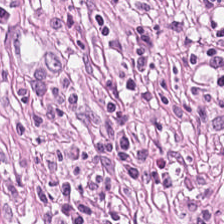H&E; formalin-fixed paraffin-embedded section; 224×224 pixel tile. Predominant tissue: tumor-associated stroma.
